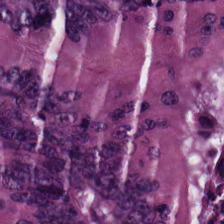Stain: H&E.
Resolution: 0.5 µm/px.
Tissue: malignant epithelium.
